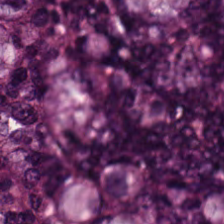H&E · 20× equivalent magnification — Showing tumor epithelium.
